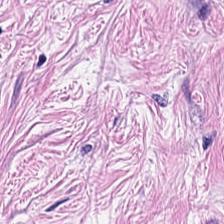H&E · brightfield microscopy · 20× equivalent magnification. This patch shows desmoplastic stroma.
